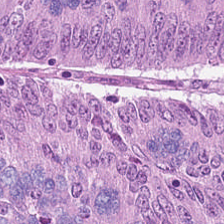The predominant tissue is malignant epithelium.
